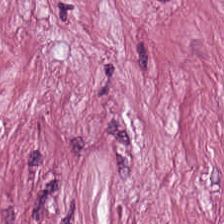FFPE tissue section · H&E. The tissue here is tumor stroma.
